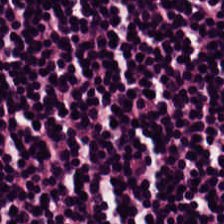Stain: H&E-stained tissue section.
Resolution: 0.5 microns per pixel.
Tile size: 224×224 pixel tile.
Predominant tissue: lymphoid infiltrate.
